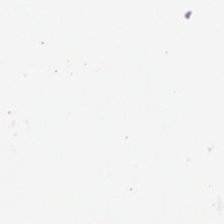20× equivalent magnification. H&E-stained tissue section. Classification: background.
